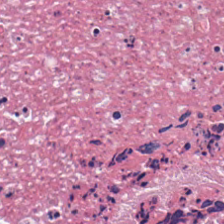The predominant tissue is necrotic debris.
